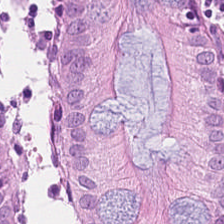Stain: hematoxylin-and-eosin stained section.
Classification: benign colonic mucosa.
